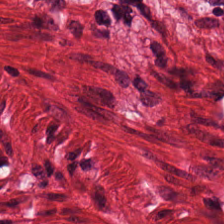Hematoxylin and eosin — Q: What type of tissue is this?
A: This is smooth muscle.
